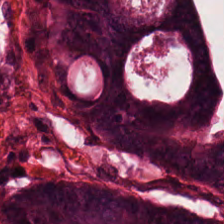FFPE. 224×224 pixel tile. Hematoxylin and eosin.
This field is tumor epithelium.
